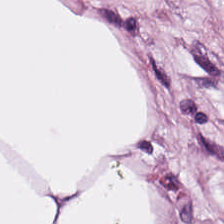Finding — adipose.
